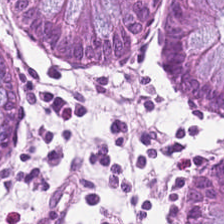H&E stain · FFPE tissue section · brightfield microscopy — Finding → normal colonic mucosa.
